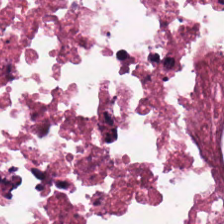Stain: H&E-stained tissue section.
Tissue type: necrotic debris.
